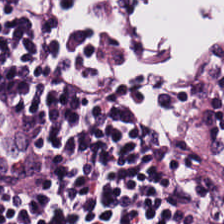Brightfield microscopy · hematoxylin and eosin — Tissue: lymphocytic infiltrate.
